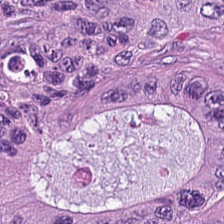0.5 µm per pixel · FFPE tissue section · H&E stain. The tissue type is colorectal adenocarcinoma.
